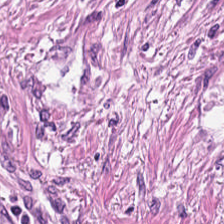Whole-slide-image patch · H&E stain — {"tissue_type": "cancer-associated stroma"}
